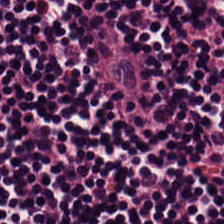WSI patch · formalin-fixed paraffin-embedded section · H&E-stained tissue section. This field is lymphoid infiltrate.
